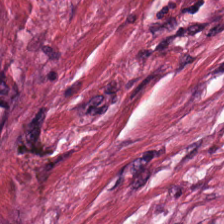Showing cancer-associated stroma.
